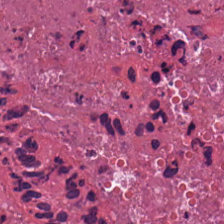H&E-stained tissue section — Tissue: necrotic debris.
